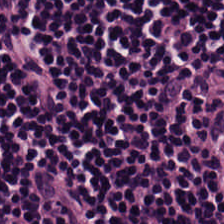Stain: H&E stain.
Preparation: FFPE tissue section.
Classification: lymphocytic infiltrate.
